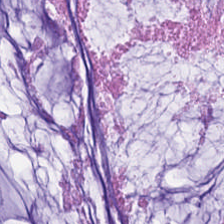H&E-stained tissue section · brightfield. Q: What is the predominant tissue type?
A: Extracellular mucin.
